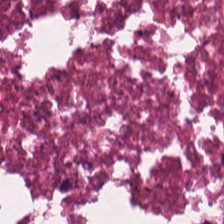0.5 µm/px. 224×224 px tile. H&E.
Classification — debris.
